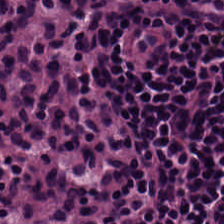Hematoxylin-and-eosin stained section — Tissue: lymphoid infiltrate.
